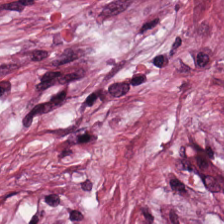H&E · WSI patch — The predominant tissue is tumor stroma.
